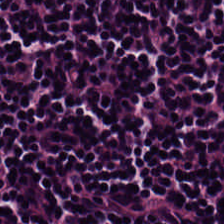H&E stain. 0.5 microns per pixel. Finding — lymphoid infiltrate.
